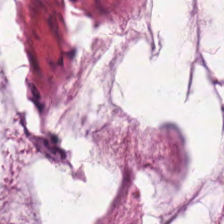0.5 microns per pixel. H&E stain. Mucus.
